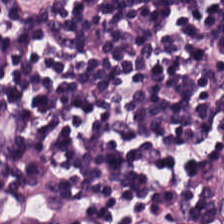WSI patch; H&E-stained tissue section.
Showing lymphocyte aggregate.
